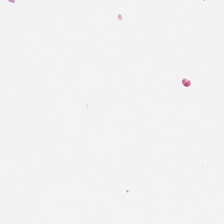No tissue present; background only.
